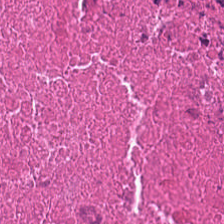WSI patch; hematoxylin-and-eosin stained section; 224×224 pixel tile. The tissue type is debris.
